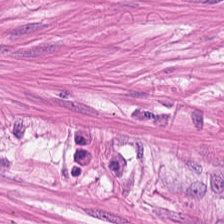H&E — Q: What type of tissue is this?
A: The field shows smooth muscle.
